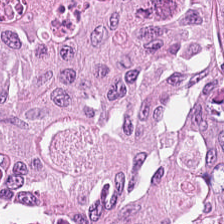224×224 px tile. Hematoxylin and eosin — Predominant tissue — adenocarcinoma.
